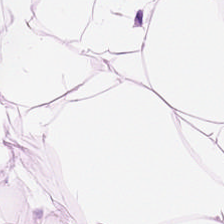Stain: H&E stain.
Tissue type: fat tissue.
